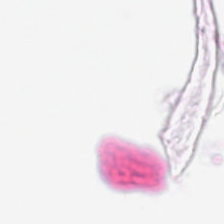Stain: H&E.
Preparation: FFPE tissue section.
Content: background (no tissue).
